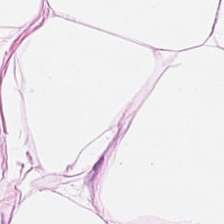Histology → adipose tissue.
